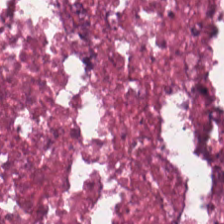Hematoxylin and eosin; 0.5 microns per pixel. Tissue class: necrotic debris.
